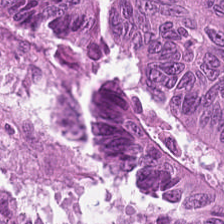WSI patch. Hematoxylin-and-eosin stained section. Formalin-fixed paraffin-embedded section — Tissue class — colorectal adenocarcinoma epithelium.
